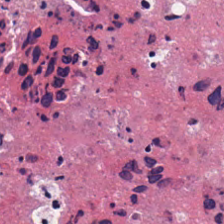Hematoxylin and eosin; whole-slide-image patch — The classification is necrotic debris.
